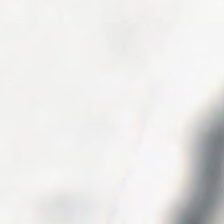Hematoxylin-and-eosin stained section. No tissue present; background only.
